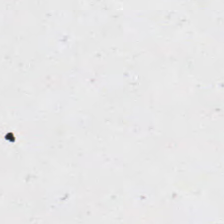Hematoxylin and eosin.
Background — no tissue in this field.
